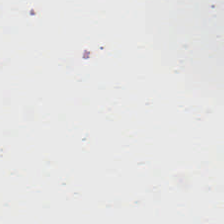H&E. 0.5 microns per pixel.
Q: What does this patch show?
A: The field shows background.
